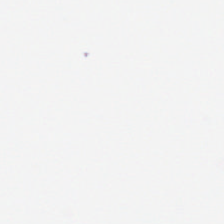H&E-stained tissue section.
This field is background (no tissue).
